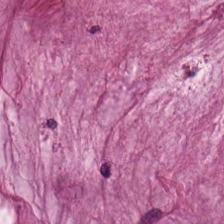H&E-stained tissue section. {"tissue_type": "mucin"}
